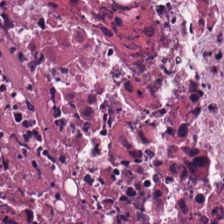Hematoxylin and eosin — Predominantly cellular debris.
